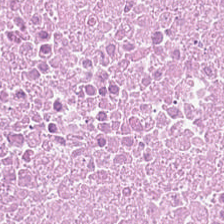H&E.
Classification — cellular debris.
